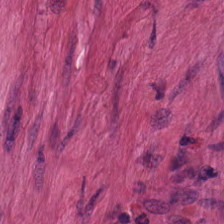This field is smooth-muscle tissue.
